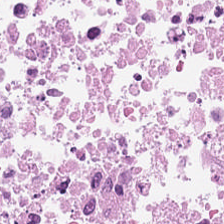H&E; FFPE tissue section — {"tissue_type": "necrotic debris"}
